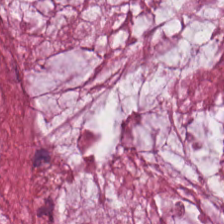20× equivalent magnification · FFPE · hematoxylin and eosin.
{"tissue_type": "extracellular mucin"}
